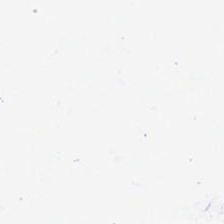This field is background (no tissue).
